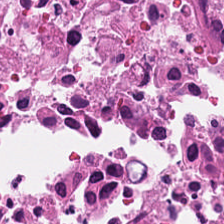H&E-stained tissue section.
Q: Classify this patch.
A: The field shows necrotic debris.
